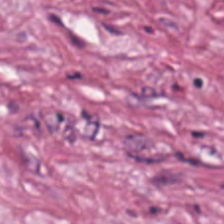H&E. This patch shows cancer-associated stroma.
